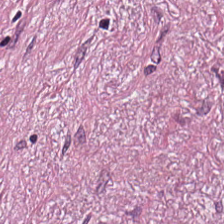FFPE · H&E-stained tissue section. Q: What is the predominant tissue type?
A: This is cancer-associated stroma.
